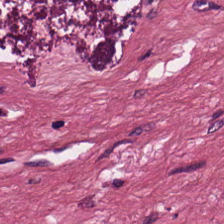H&E stain — This field is desmoplastic stroma.
